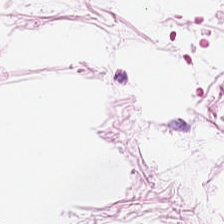Finding — fat tissue.
